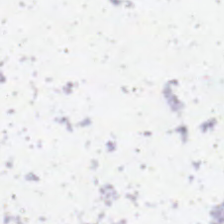H&E-stained tissue section. Classification — background.
